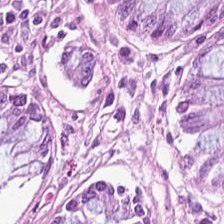H&E.
Finding — benign colonic mucosa.
